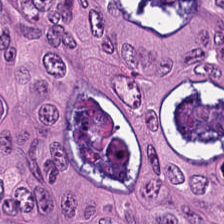H&E-stained tissue section; whole-slide-image patch — Q: What is the predominant tissue type?
A: It is adenocarcinoma.
